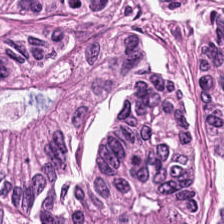Malignant epithelium.
